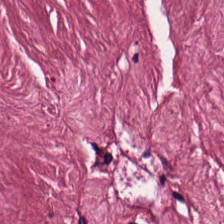Hematoxylin and eosin.
This field is tumor stroma.
